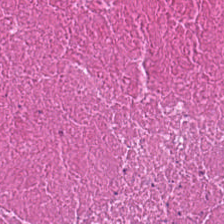H&E-stained tissue section — This patch shows debris.
